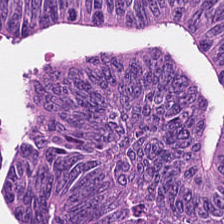WSI patch; H&E stain; 0.5 microns per pixel — Tissue: colorectal adenocarcinoma epithelium.
